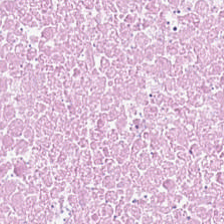H&E — Classification — debris.
